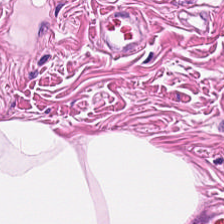H&E; FFPE tissue section; 224×224 pixel tile — Q: What is shown here?
A: Muscularis.
